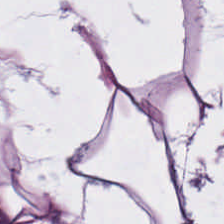Impression — adipose.
